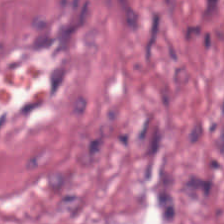H&E — {"tissue_type": "tumor stroma"}
